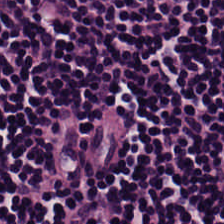H&E stain; FFPE; 224×224 px tile — Tissue — lymphocytic infiltrate.
